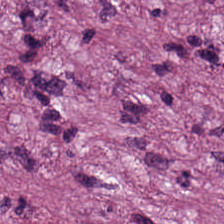Formalin-fixed paraffin-embedded section; hematoxylin-and-eosin stained section — Q: What is shown here?
A: This is desmoplastic stroma.
